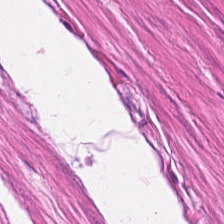H&E stain. WSI patch. This field is smooth-muscle tissue.
